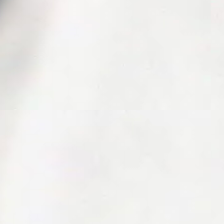H&E stain — Background — no tissue in this field.
